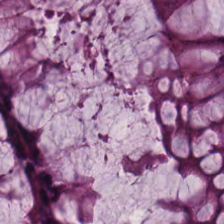Hematoxylin-and-eosin stained section. 224×224 pixel tile.
Finding — non-neoplastic colon mucosa.
